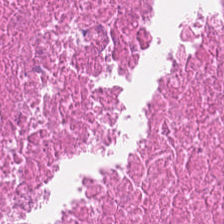Hematoxylin and eosin. Q: What does this patch show?
A: The field shows debris.
